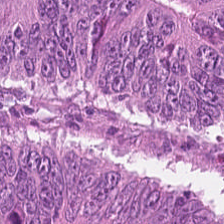Stain: H&E stain.
Tissue type: adenocarcinoma.
